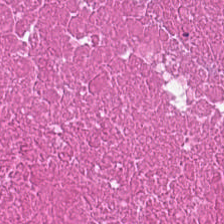Stain: H&E stain.
Tissue type: cellular debris.
